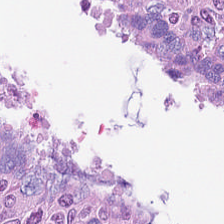Brightfield microscopy. H&E-stained tissue section.
Q: Classify this patch.
A: Malignant epithelium.
